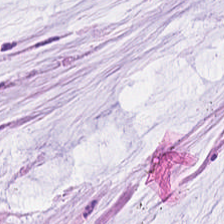H&E stain; formalin-fixed paraffin-embedded section; WSI patch — The predominant tissue is mucus.
